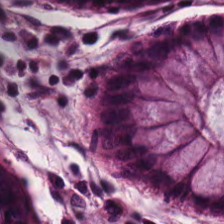Stain: H&E-stained tissue section.
Tissue: normal colonic mucosa.
